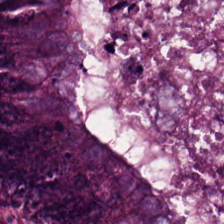Q: What is shown here?
A: The field shows colorectal adenocarcinoma epithelium.
